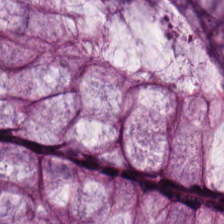Stain: hematoxylin-and-eosin stained section.
Acquisition: WSI patch.
Resolution: 0.5 µm/px.
Predominant tissue: normal colonic mucosa.
